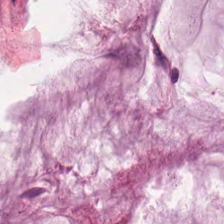H&E — extracellular mucin.
